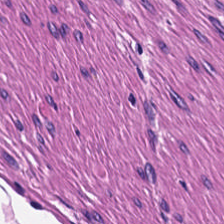Hematoxylin and eosin. The tissue here is muscularis.
